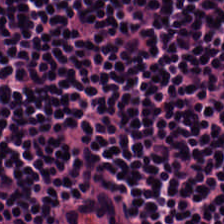Hematoxylin-and-eosin stained section — This patch shows lymphoid infiltrate.
